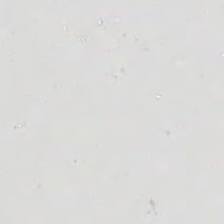Hematoxylin and eosin.
No tissue present; background only.
